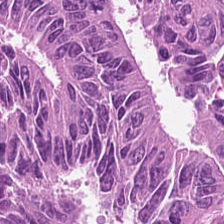H&E stain · 224×224 px tile. Tissue type = colorectal adenocarcinoma.
